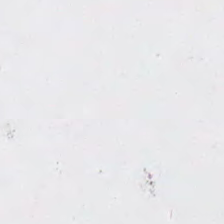H&E stain. 224×224 pixel tile — Content — empty background.
